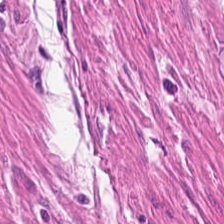H&E-stained tissue section. Whole-slide-image patch — Tissue class — muscularis.
